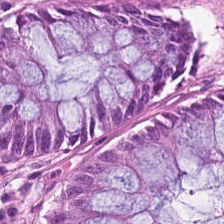Stain: H&E.
Acquisition: whole-slide-image patch.
Predominant tissue: benign colonic mucosa.
